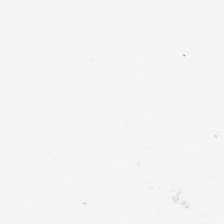Impression — fat tissue.
